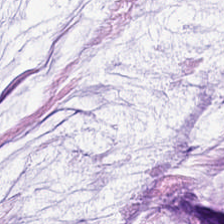Hematoxylin-and-eosin stained section — Extracellular mucin.
